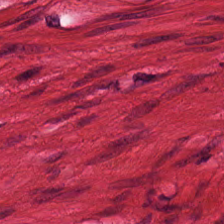H&E stain — Q: Classify this patch.
A: This is smooth muscle.
